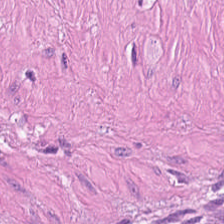Hematoxylin-and-eosin stained section · 224×224 pixel tile · brightfield — This field is smooth-muscle tissue.
